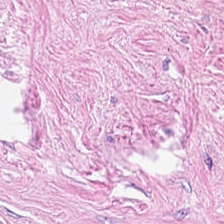H&E-stained tissue section · 224×224 px patch — Showing tumor-associated stroma.
